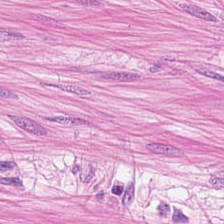Classification = smooth muscle.
